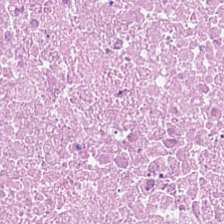224×224 pixel tile. Hematoxylin-and-eosin stained section. Histology → debris.
